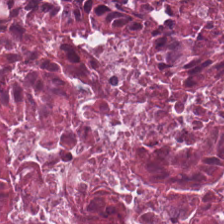Brightfield; hematoxylin-and-eosin stained section.
{"tissue_type": "necrotic debris"}
